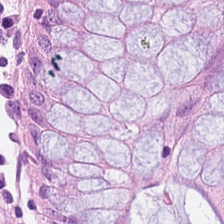Q: What type of tissue is this?
A: This is non-neoplastic colon mucosa.
